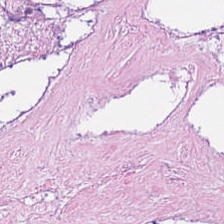Hematoxylin-and-eosin stained section · 224×224 px patch · brightfield — Tissue type: necrotic debris.
